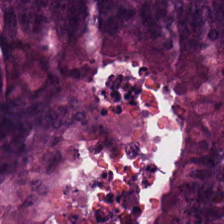H&E-stained tissue section showing adenocarcinoma.
